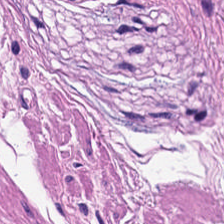H&E stain. 224×224 px patch.
Muscularis.
